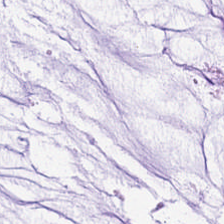H&E — The tissue here is extracellular mucin.
